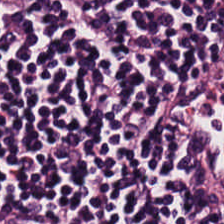Hematoxylin and eosin.
This patch shows lymphoid infiltrate.
